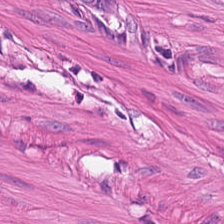H&E.
This field is smooth muscle.
